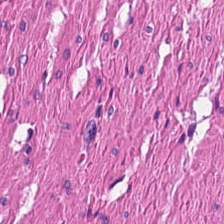This field is smooth muscle.
